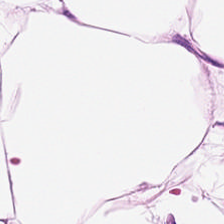Brightfield microscopy · hematoxylin-and-eosin stained section — Q: What tissue type is shown here?
A: It is fat tissue.
